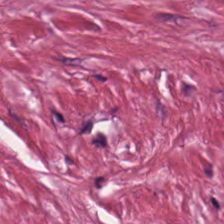Brightfield microscopy. H&E stain.
Predominantly desmoplastic stroma.
